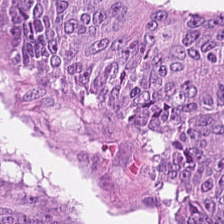H&E-stained tissue section. 224×224 px tile — {"tissue_type": "colorectal adenocarcinoma"}
